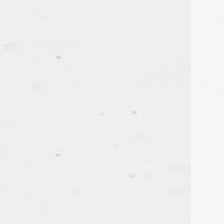H&E-stained tissue section. WSI patch.
The classification is background.
